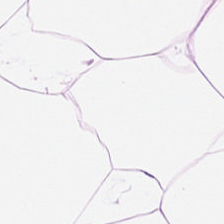Hematoxylin and eosin. FFPE tissue section. This field is fat tissue.
